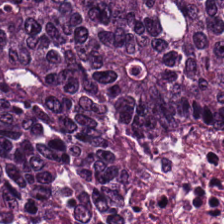H&E patch showing colorectal adenocarcinoma.
